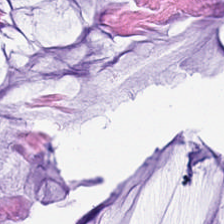Hematoxylin-and-eosin stained section — Showing extracellular mucin.
